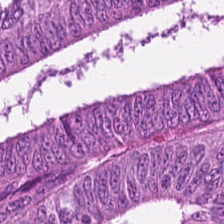224×224 pixel tile; H&E stain — Impression → tumor epithelium.
